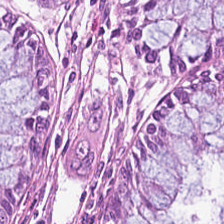Stain: H&E.
Preparation: formalin-fixed paraffin-embedded section.
Tissue: normal colon mucosa.
